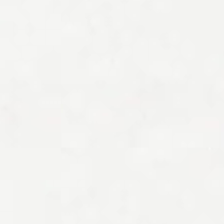H&E-stained tissue section; 224×224 px patch; WSI patch.
No tissue.
